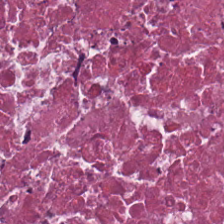Impression — debris.
